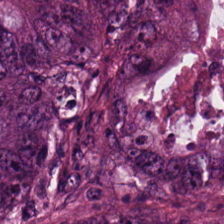Hematoxylin-and-eosin stained section. WSI patch. Tissue = colorectal adenocarcinoma epithelium.
